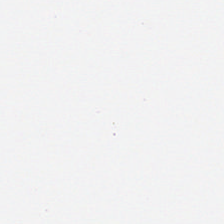FFPE tissue section · hematoxylin-and-eosin stained section · 0.5 microns per pixel.
Histology — no tissue.
